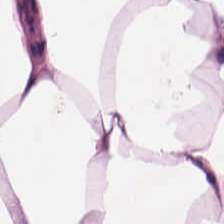Hematoxylin-and-eosin section: adipose.
